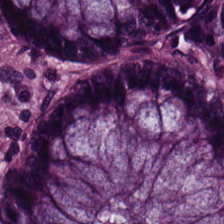Hematoxylin and eosin. This field is benign colonic mucosa.
